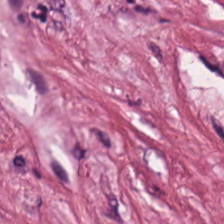Brightfield; H&E stain.
The predominant tissue is tumor-associated stroma.
